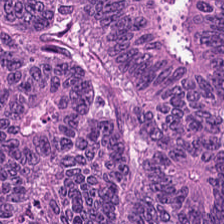Stain: H&E-stained tissue section.
Preparation: formalin-fixed paraffin-embedded section.
Acquisition: whole-slide-image patch.
Tissue type: colorectal adenocarcinoma epithelium.
